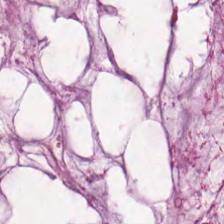H&E-stained tissue section. This field is extracellular mucin.
